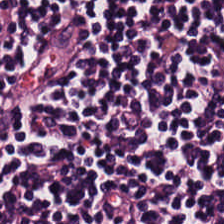Stain: H&E stain.
Resolution: 0.5 µm per pixel.
Preparation: formalin-fixed paraffin-embedded section.
Classification: lymphocytic infiltrate.
